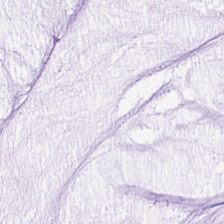H&E-stained tissue section.
Q: What does this patch show?
A: This is mucus.
